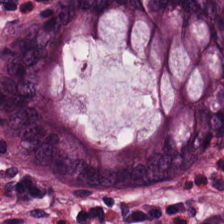0.5 microns per pixel · H&E stain · formalin-fixed paraffin-embedded section. Showing non-neoplastic colon mucosa.
